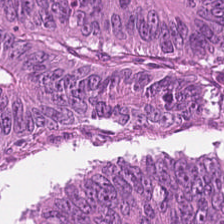H&E patch showing colorectal adenocarcinoma epithelium.
